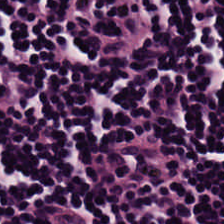Stain: H&E.
Tile size: 224×224 px patch.
Resolution: 20× equivalent magnification.
Classification: lymphocytic infiltrate.
